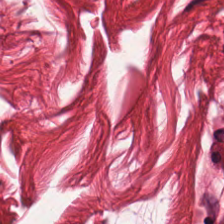Stain: hematoxylin and eosin.
Acquisition: brightfield microscopy.
Predominant tissue: muscularis.
